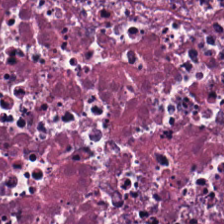Whole-slide-image patch. H&E stain. 0.5 µm/px — Q: What type of tissue is this?
A: The field shows necrotic debris.
